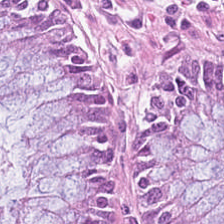Hematoxylin-and-eosin stained section — Finding → non-neoplastic colon mucosa.
